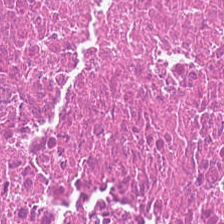H&E — Predominant tissue — cellular debris.
